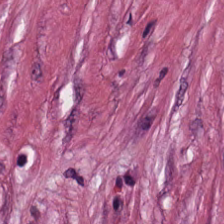Hematoxylin and eosin. Histology — tumor stroma.
